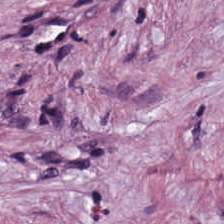Stain: hematoxylin and eosin.
Acquisition: WSI patch.
Tissue type: tumor stroma.
